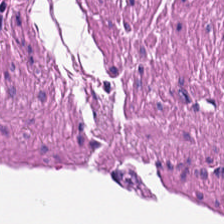FFPE tissue section. H&E stain. Brightfield microscopy.
Q: What is shown in this field?
A: It is muscularis.
